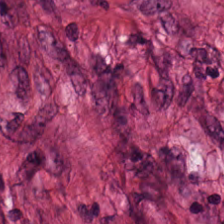Q: What type of tissue is this?
A: The field shows desmoplastic stroma.
